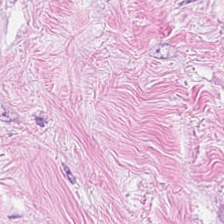{"tissue_type": "cancer-associated stroma"}
